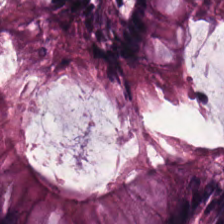Stain: H&E stain.
Tissue class: normal colon mucosa.
